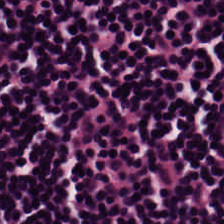H&E · FFPE tissue section — Tissue type — lymphocyte aggregate.
